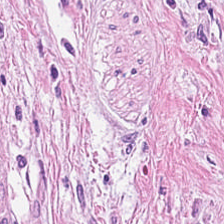H&E stain — Q: What is shown in this field?
A: Desmoplastic stroma.
